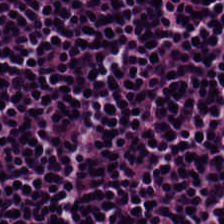Hematoxylin and eosin. Impression → lymphocytes.
